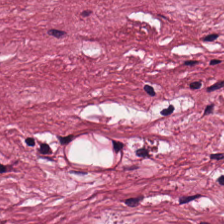H&E — Q: What tissue is shown?
A: This is desmoplastic stroma.
